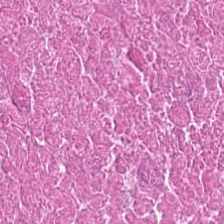H&E stain. Predominantly cellular debris.
